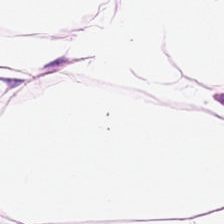Stain: H&E.
Classification: adipocytes.
